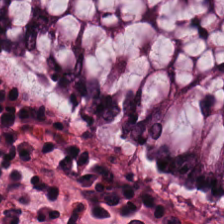H&E stain · 224×224 px patch.
Q: Classify this patch.
A: This is normal colon mucosa.
